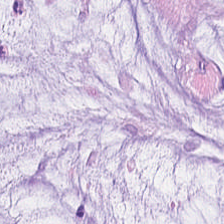H&E stain.
This field is extracellular mucin.
